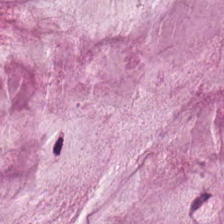Tissue: extracellular mucin.
